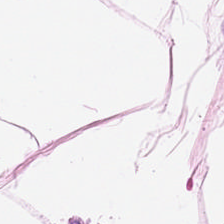Histology → adipose tissue.
